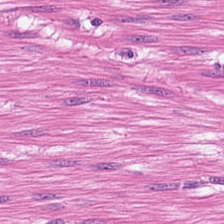This patch shows smooth muscle.
